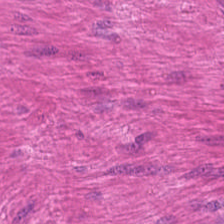H&E stain.
The predominant tissue is smooth muscle.
